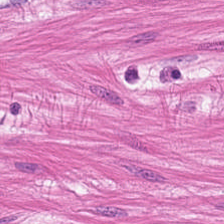This patch shows muscularis.
